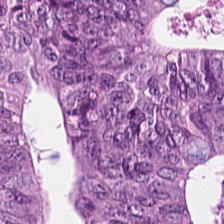H&E stain — Histology → tumor epithelium.
